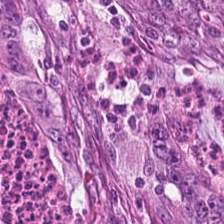Hematoxylin-and-eosin stained section · WSI patch — Adenocarcinoma.
